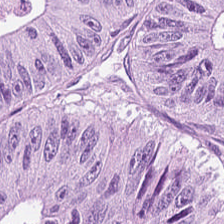H&E-stained tissue section.
Finding → adenocarcinoma.
